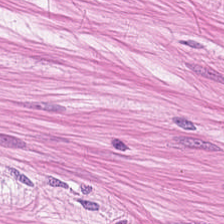WSI patch. H&E-stained tissue section.
Classification: muscularis.
